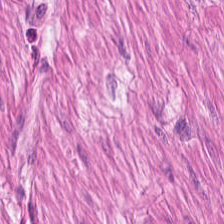Hematoxylin and eosin; 224×224 pixel tile.
This patch shows smooth-muscle tissue.
